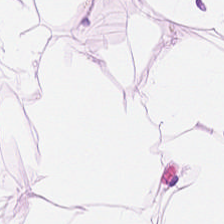Hematoxylin and eosin.
Classification — adipocytes.
